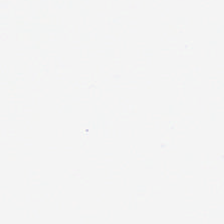Whole-slide-image patch · H&E. This field is background (no tissue).
